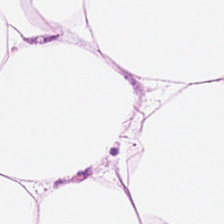H&E-stained tissue section · 224×224 px tile · formalin-fixed paraffin-embedded section — Histology — adipocytes.
